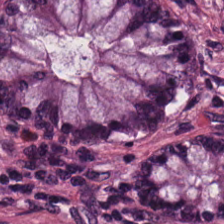This field is non-neoplastic colon mucosa.
